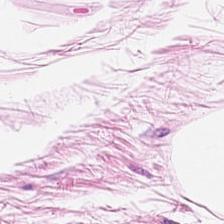H&E.
Impression → adipocytes.
